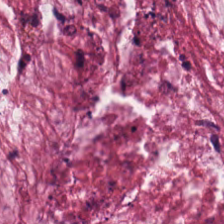Stain: hematoxylin-and-eosin stained section.
Tissue type: mucin.
